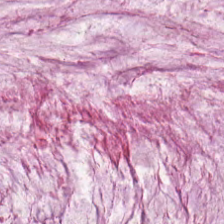H&E-stained tissue section; brightfield — Tissue: mucin.
